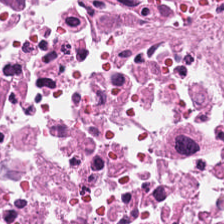Brightfield · H&E stain.
Tissue type: cellular debris.
